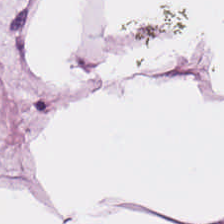H&E stain. Classification = adipocytes.
